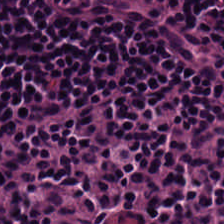Hematoxylin and eosin. Classification — lymphocyte aggregate.
